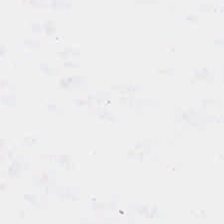Field content: background.
